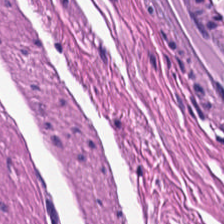H&E-stained tissue section.
Classification — smooth-muscle tissue.
